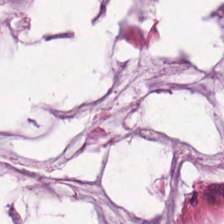H&E; formalin-fixed paraffin-embedded section; WSI patch. The tissue here is mucin.
